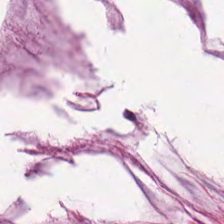H&E. The tissue here is extracellular mucin.
